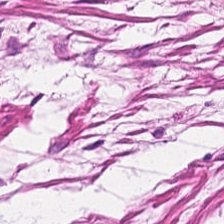This field is smooth-muscle tissue.
